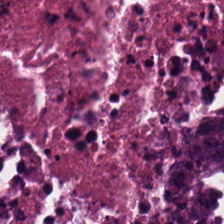H&E — Predominant tissue — colorectal adenocarcinoma epithelium.
